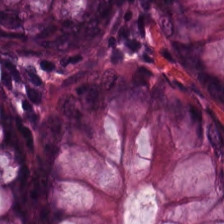H&E stain.
Tissue: benign colonic mucosa.
